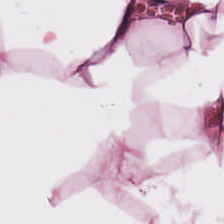Hematoxylin-and-eosin stained section · FFPE — Showing adipocytes.
